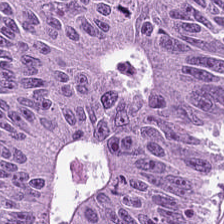The tissue type is colorectal adenocarcinoma epithelium.
